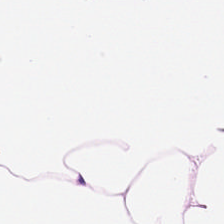The predominant tissue is adipocytes.
